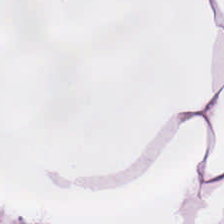Hematoxylin-and-eosin stained section.
This patch shows adipocytes.
